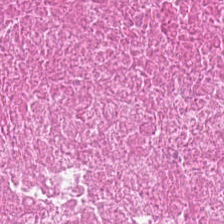H&E stain — This patch shows debris.
